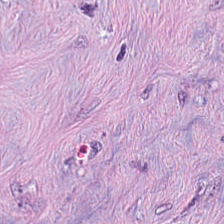H&E-stained tissue section — Tissue = tumor stroma.
